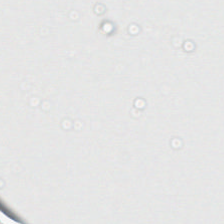No tissue present; background only.
